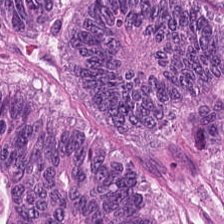H&E stain.
Q: What does this patch show?
A: Colorectal adenocarcinoma.
